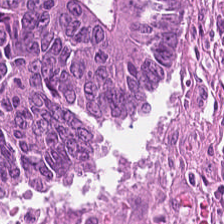H&E — Q: What does this patch show?
A: This is malignant epithelium.
